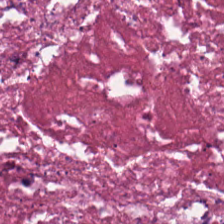Hematoxylin and eosin · FFPE. Q: Identify the tissue.
A: This is debris.
